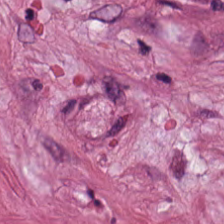H&E; 0.5 microns per pixel; FFPE tissue section. The tissue here is desmoplastic stroma.
